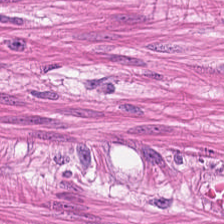{"tissue_type": "smooth-muscle tissue"}
